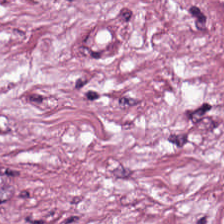Tissue class: desmoplastic stroma.
